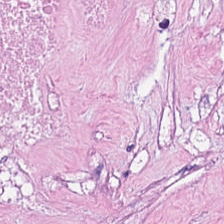0.5 microns per pixel. Hematoxylin-and-eosin stained section — Finding → necrotic debris.
